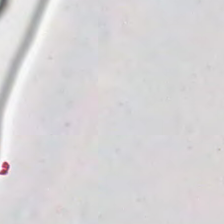H&E stain. Background — no tissue in this field.
